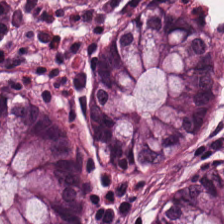Classification: normal colon mucosa.
